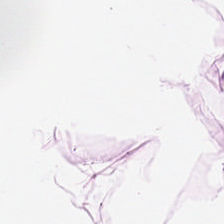0.5 µm per pixel · hematoxylin and eosin. Impression → adipocytes.
